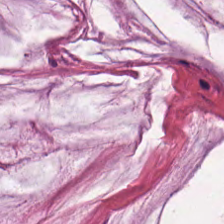WSI patch; H&E. The tissue here is mucin.
